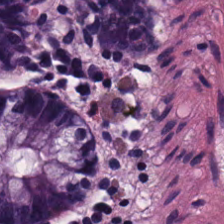0.5 µm per pixel; H&E. The tissue here is normal colon mucosa.
